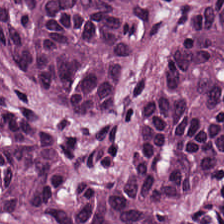H&E-stained tissue section showing colorectal adenocarcinoma.
